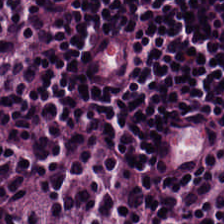Q: Classify this patch.
A: This is lymphocytes.
